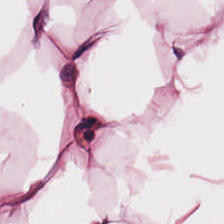Whole-slide-image patch · H&E stain · 0.5 µm/px. Q: What tissue is shown?
A: Fat tissue.
